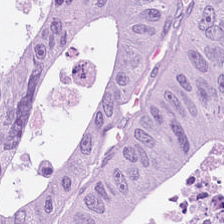H&E.
Histology — colorectal adenocarcinoma.
